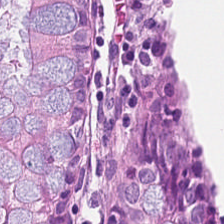Hematoxylin and eosin; 224×224 px tile.
Normal colon mucosa.
